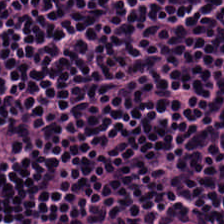Brightfield microscopy · hematoxylin and eosin. Q: What is the predominant tissue type?
A: This is lymphoid infiltrate.
